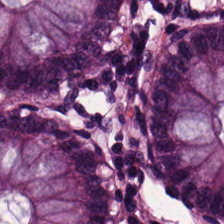H&E-stained tissue section.
The classification is non-neoplastic colon mucosa.
